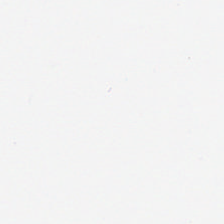Q: What does this patch show?
A: It is background.
